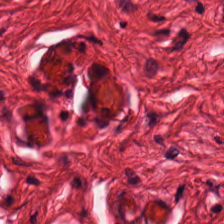Hematoxylin-and-eosin stained section.
Predominantly smooth-muscle tissue.
